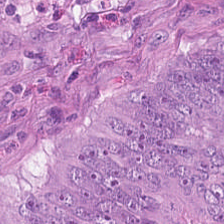H&E-stained tissue section. 224×224 px patch — The tissue type is tumor epithelium.
